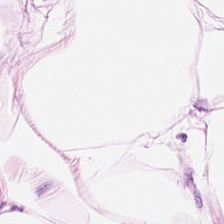Hematoxylin and eosin; 224×224 px patch. Tissue class — adipose tissue.
